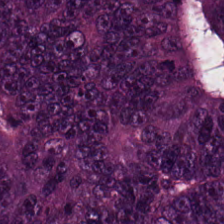H&E. This field is adenocarcinoma.
